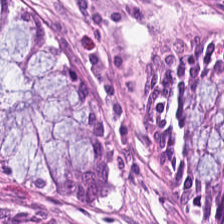Hematoxylin and eosin. Non-neoplastic colon mucosa.
